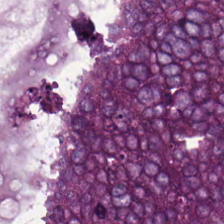Hematoxylin and eosin.
This patch shows tumor epithelium.
